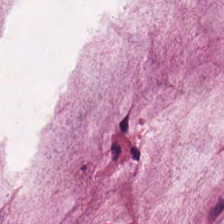Hematoxylin and eosin. Classification: mucin.
